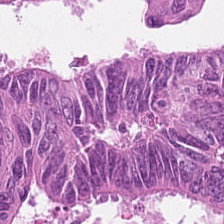Hematoxylin-and-eosin stained section — This patch shows tumor epithelium.
